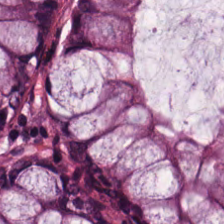H&E stain. 0.5 microns per pixel — The classification is normal colonic mucosa.
